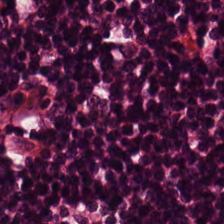H&E-stained tissue section. Predominantly lymphocytes.
